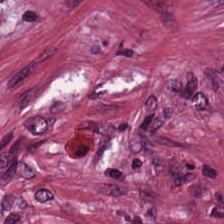H&E-stained tissue section. This patch shows desmoplastic stroma.
